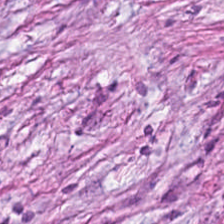H&E-stained tissue section — Q: Classify this patch.
A: This is tumor-associated stroma.
